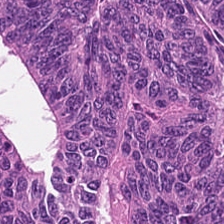H&E — Tissue type — malignant epithelium.
